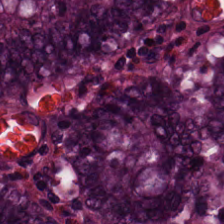Hematoxylin and eosin — Q: What does this patch show?
A: The field shows normal colonic mucosa.
